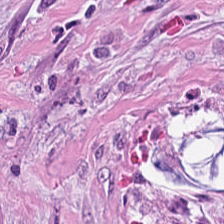Brightfield; H&E-stained tissue section.
Q: What is the predominant tissue type?
A: The field shows desmoplastic stroma.
